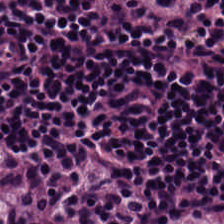Stain: H&E-stained tissue section.
Tissue type: lymphoid infiltrate.
